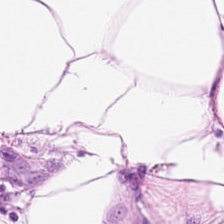H&E.
Finding → adipocytes.
